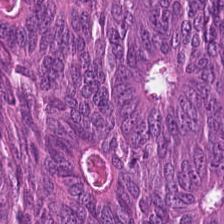Hematoxylin-and-eosin stained section; FFPE tissue section; WSI patch.
Q: Identify the tissue.
A: The field shows tumor epithelium.
